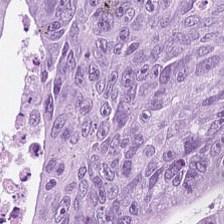Tissue type — tumor epithelium.
